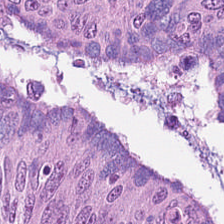H&E stain. Tissue class: colorectal adenocarcinoma epithelium.
